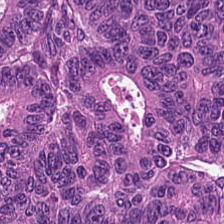Hematoxylin-and-eosin stained section — Tissue: colorectal adenocarcinoma.
